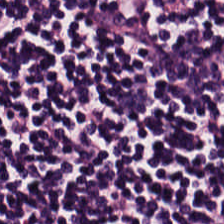H&E stain; 0.5 microns per pixel — This patch shows lymphoid infiltrate.
